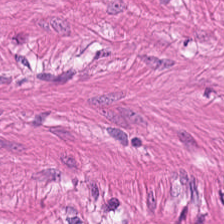This patch shows muscularis.
